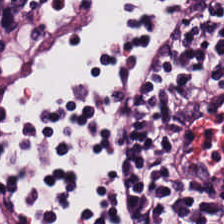H&E-stained tissue section. Tissue class = lymphocytes.
